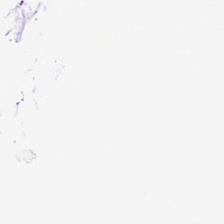H&E.
Q: What is shown here?
A: This is empty background.
